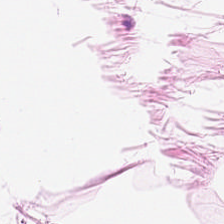Hematoxylin and eosin — The tissue is fat tissue.
